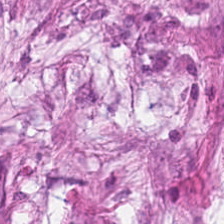{"tissue_type": "tumor-associated stroma"}
